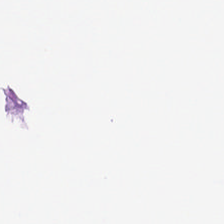H&E stain — The field content is background (no tissue).
